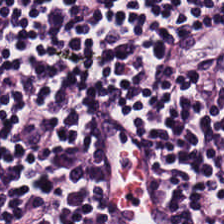Brightfield microscopy; 0.5 µm/px; H&E stain — The tissue is lymphocyte aggregate.
